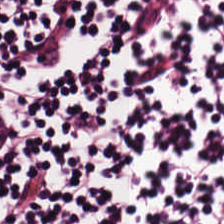H&E patch showing lymphoid infiltrate.
